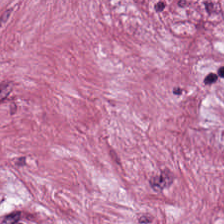Hematoxylin-and-eosin stained section.
Finding — tumor stroma.
